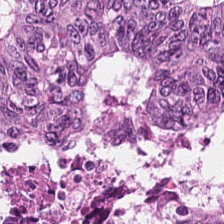Predominantly colorectal adenocarcinoma.
